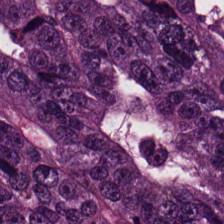Hematoxylin-and-eosin stained section. Histology → colorectal adenocarcinoma.
